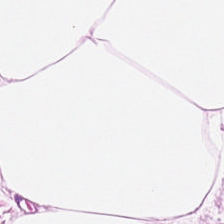224×224 px tile. H&E-stained tissue section. WSI patch. This patch shows adipose tissue.
